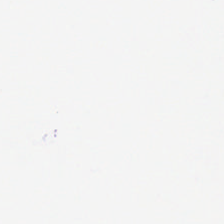224×224 px tile · H&E stain. Finding → background (no tissue).
